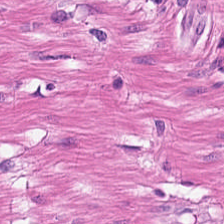H&E-stained tissue section.
The tissue class is smooth-muscle tissue.
